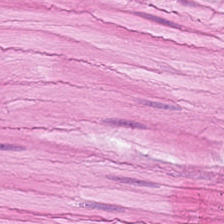H&E stain.
Q: What is the predominant tissue type?
A: It is smooth muscle.
